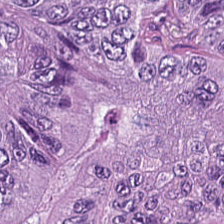H&E stain — Finding — colorectal adenocarcinoma.
